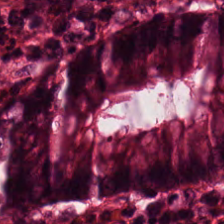H&E-stained tissue section — This patch shows benign colonic mucosa.
